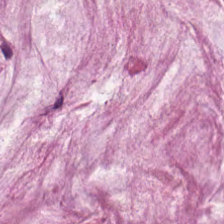Hematoxylin and eosin. Mucus.
